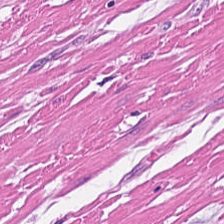H&E — Q: What is shown in this field?
A: Smooth muscle.
